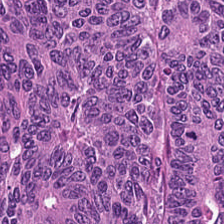224×224 pixel tile · formalin-fixed paraffin-embedded section · hematoxylin-and-eosin stained section — Histology → adenocarcinoma.
